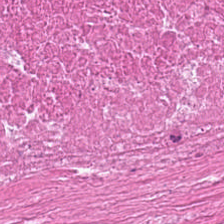H&E stain — {"tissue_type": "necrotic debris"}
